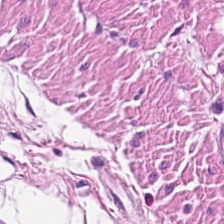The predominant tissue is smooth muscle.
